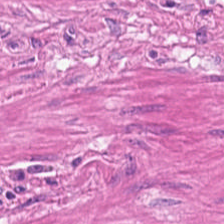224×224 pixel tile. WSI patch. H&E. Q: What type of tissue is this?
A: This is muscularis.
